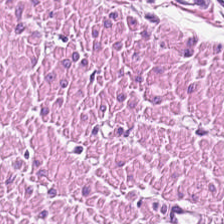H&E stain. Q: What is shown here?
A: It is muscularis.
